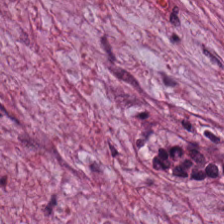Stain: H&E.
Resolution: 0.5 µm per pixel.
Predominant tissue: desmoplastic stroma.
